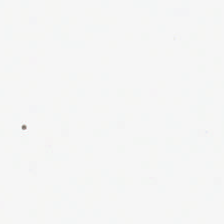Stain: H&E stain.
Classification: empty background.
